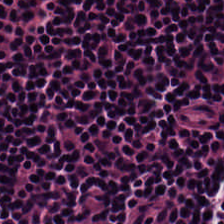WSI patch. H&E stain — Showing lymphocytes.
